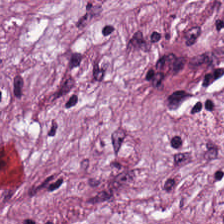H&E stain.
The tissue here is tumor stroma.
